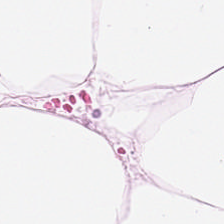Predominant tissue — fat tissue.
